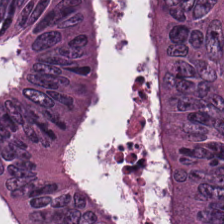Q: Classify this patch.
A: It is malignant epithelium.
